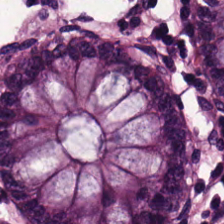H&E stain — The tissue here is non-neoplastic colon mucosa.
